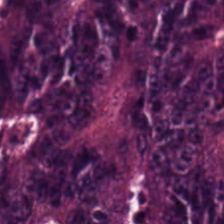224×224 pixel tile; H&E — Classification: malignant epithelium.
